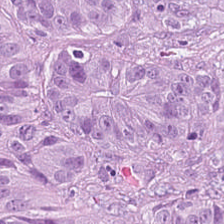H&E patch showing tumor epithelium.
